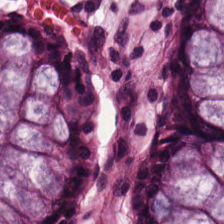Hematoxylin and eosin — Predominant tissue: non-neoplastic colon mucosa.
